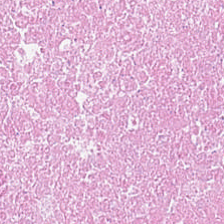Hematoxylin-and-eosin stained section.
The tissue here is debris.
